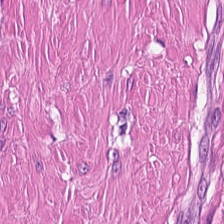H&E — smooth muscle.
